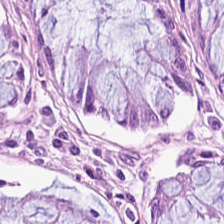Hematoxylin and eosin. This patch shows normal colonic mucosa.
